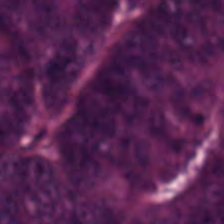Hematoxylin-and-eosin stained section; 0.5 µm per pixel; 224×224 px patch — The tissue here is colorectal adenocarcinoma.
